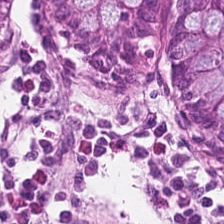Hematoxylin and eosin.
Q: Classify this patch.
A: It is benign colonic mucosa.
